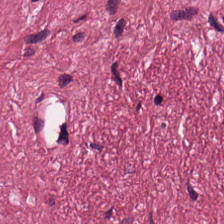Stain: H&E.
Tile size: 224×224 px tile.
Classification: tumor-associated stroma.
